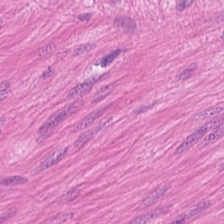Hematoxylin and eosin; formalin-fixed paraffin-embedded section; 0.5 µm/px. Finding → smooth muscle.
